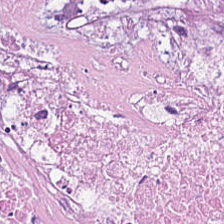H&E-stained tissue section. The tissue here is cellular debris.
